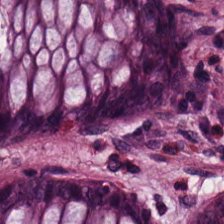0.5 µm per pixel; brightfield; H&E — Predominant tissue — benign colonic mucosa.
